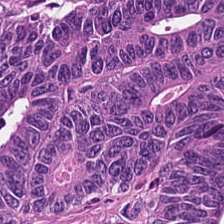H&E-stained tissue section. Predominant tissue = colorectal adenocarcinoma.
